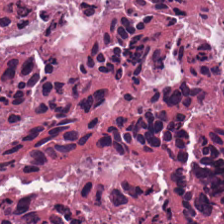{"tissue_type": "cellular debris"}
